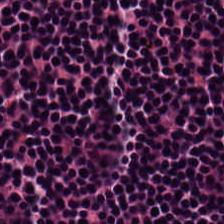Tissue type: lymphocytic infiltrate.
